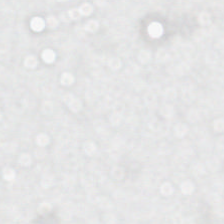Hematoxylin and eosin.
Q: Classify this patch.
A: It is no tissue.
